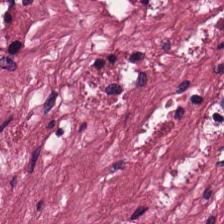Hematoxylin-and-eosin stained section. Histology → tumor stroma.
